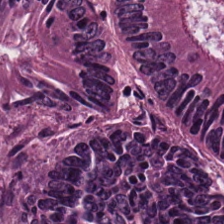H&E-stained tissue section. Predominant tissue — colorectal adenocarcinoma.
